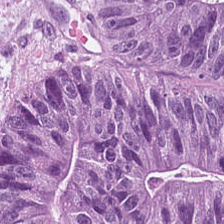Predominantly adenocarcinoma.
